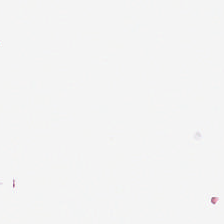Formalin-fixed paraffin-embedded section · hematoxylin and eosin · 0.5 µm per pixel. Q: What is shown in this field?
A: It is background (no tissue).
